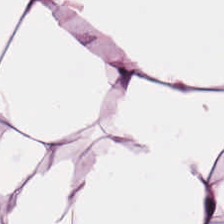Hematoxylin-and-eosin stained section · 224×224 pixel tile · FFPE tissue section. Q: What does this patch show?
A: The field shows adipose.
